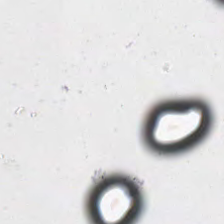Hematoxylin and eosin. Finding — empty background.
